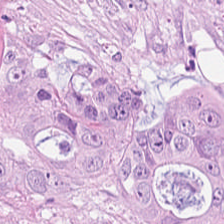H&E stain; WSI patch.
This field is malignant epithelium.
